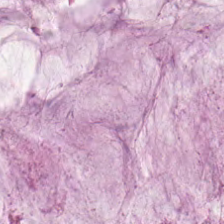0.5 µm per pixel · hematoxylin and eosin · formalin-fixed paraffin-embedded section. This patch shows mucus.
